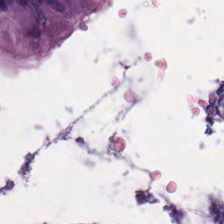Hematoxylin and eosin. Q: Identify the tissue.
A: It is normal colon mucosa.
